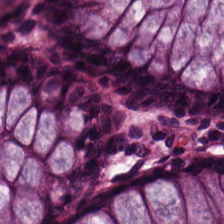0.5 µm/px; 224×224 px tile; hematoxylin-and-eosin stained section. The predominant tissue is benign colonic mucosa.
